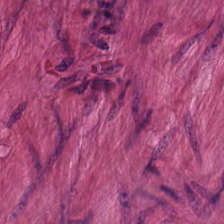Hematoxylin-and-eosin stained section. Q: Classify this patch.
A: This is muscularis.
